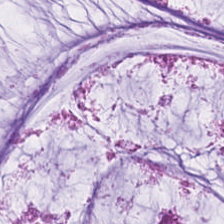H&E.
This patch shows mucus.
